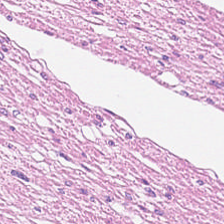224×224 px tile; H&E-stained tissue section — Showing muscularis.
